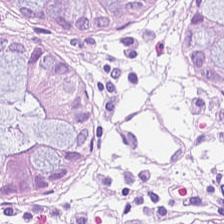Stain: H&E stain.
Preparation: FFPE tissue section.
Tissue type: normal colon mucosa.
